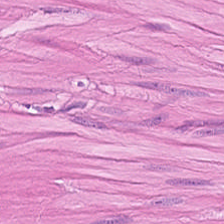H&E-stained tissue section showing smooth muscle.
